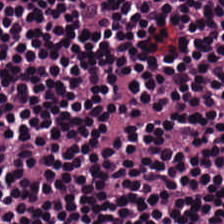The predominant tissue is lymphocytes.
